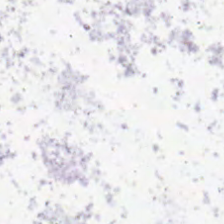Q: What does this patch show?
A: Background.
